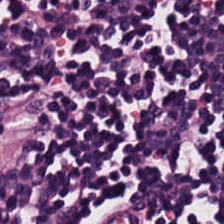Hematoxylin and eosin; 0.5 µm/px. Tissue = lymphocyte aggregate.
